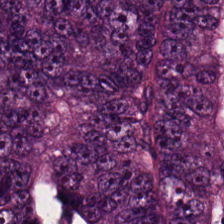Brightfield microscopy. Hematoxylin and eosin — {"tissue_type": "colorectal adenocarcinoma epithelium"}
